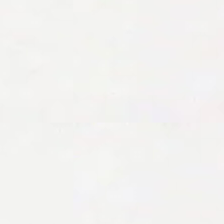224×224 px patch. Whole-slide-image patch. H&E-stained tissue section — The classification is background.
